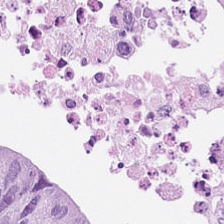The classification is adenocarcinoma.
